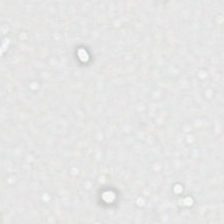224×224 px patch; H&E — Q: What does this patch show?
A: It is background (no tissue).
